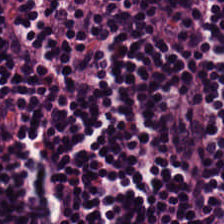H&E stain. Lymphocyte aggregate.
